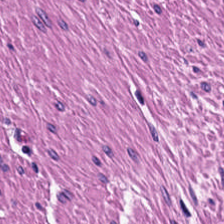Brightfield microscopy. Hematoxylin-and-eosin stained section. Tissue type: smooth muscle.
